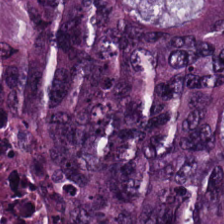H&E stain; 20× equivalent magnification — This field is colorectal adenocarcinoma epithelium.
